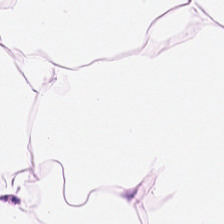Hematoxylin-and-eosin stained section · 224×224 pixel tile — Fat tissue.
